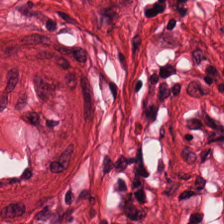H&E. Brightfield microscopy.
{"tissue_type": "muscularis"}
